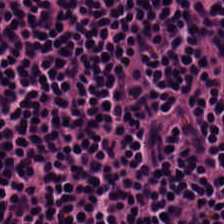H&E.
Lymphocytic infiltrate.
